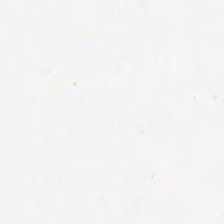Histology → no tissue.
